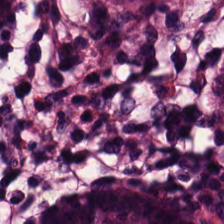0.5 µm per pixel; hematoxylin and eosin; 224×224 px tile. The tissue here is normal colonic mucosa.
